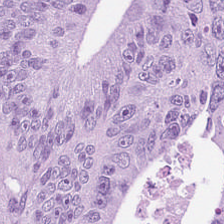224×224 pixel tile; hematoxylin and eosin; whole-slide-image patch.
Histology → colorectal adenocarcinoma.
